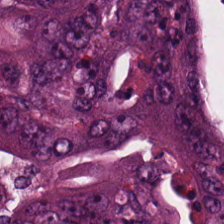Brightfield microscopy · hematoxylin-and-eosin stained section · 224×224 px patch.
Q: What tissue type is shown here?
A: This is adenocarcinoma.
